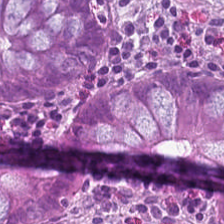Q: What is shown here?
A: Normal colonic mucosa.
